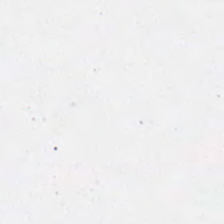H&E. Q: What does this patch show?
A: This is no tissue.
